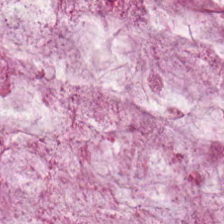Hematoxylin and eosin — This patch shows extracellular mucin.
